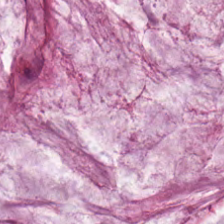Tissue type: extracellular mucin.
